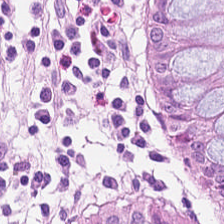Hematoxylin and eosin. Predominantly normal colon mucosa.
